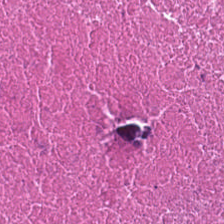Classification — cellular debris.
